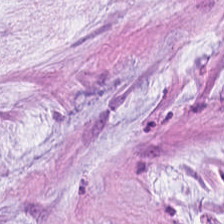Whole-slide-image patch · FFPE · H&E-stained tissue section — Q: Identify the tissue.
A: The field shows extracellular mucin.
